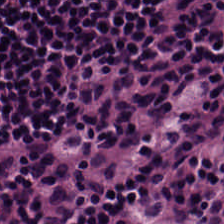Stain: hematoxylin-and-eosin stained section.
Preparation: FFPE tissue section.
Acquisition: brightfield.
Tissue type: lymphocyte aggregate.
